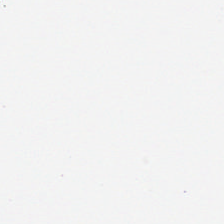H&E-stained tissue section. The field content is background (no tissue).
